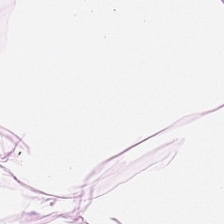H&E-stained tissue section.
Finding — adipose.
